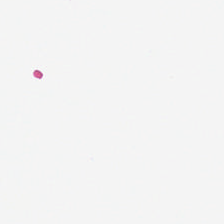This field is background (no tissue).
